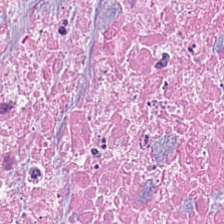FFPE tissue section; H&E-stained tissue section — The tissue here is necrotic debris.
